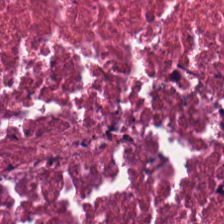H&E-stained tissue section.
The tissue is debris.
